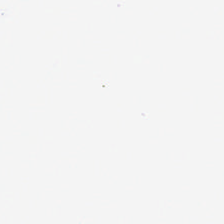Hematoxylin and eosin. Content: background.
